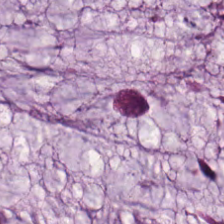Hematoxylin and eosin — Predominantly mucin.
